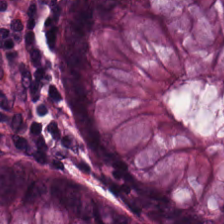Formalin-fixed paraffin-embedded section; H&E; WSI patch. {"tissue_type": "normal colonic mucosa"}
